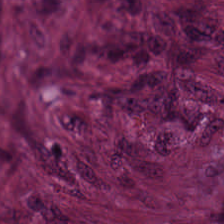FFPE tissue section. H&E. 224×224 px patch.
Classification = cancer-associated stroma.
